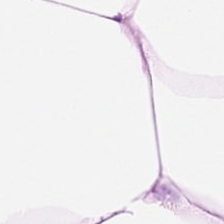Hematoxylin-and-eosin stained section · 224×224 px tile — Tissue: adipose tissue.
